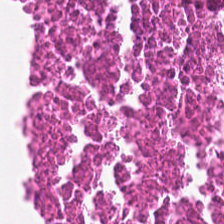Hematoxylin-and-eosin stained section. Predominantly debris.
